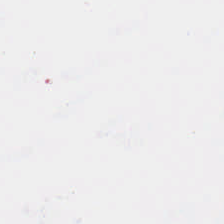Hematoxylin-and-eosin stained section — Histology → empty background.
